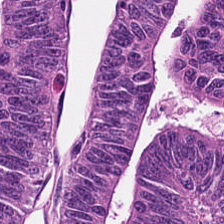H&E stain.
The predominant tissue is colorectal adenocarcinoma.
